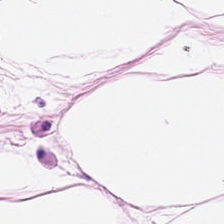Hematoxylin and eosin. 224×224 pixel tile.
Predominantly fat tissue.
